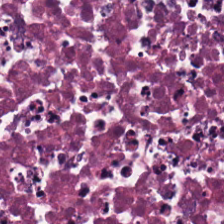Stain: H&E stain.
Resolution: 0.5 microns per pixel.
Preparation: FFPE tissue section.
Predominant tissue: debris.
